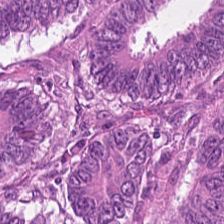Hematoxylin-and-eosin stained section.
The predominant tissue is malignant epithelium.
